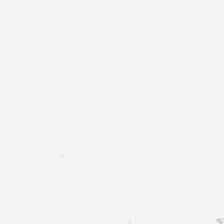Hematoxylin and eosin. Q: What is shown in this field?
A: Background.
